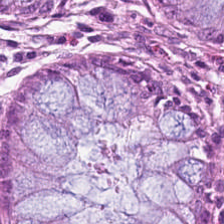H&E stain.
Q: What tissue is shown?
A: The field shows benign colonic mucosa.
